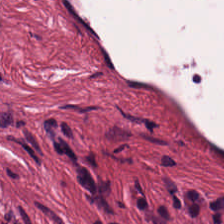Whole-slide-image patch. H&E stain. 20× equivalent magnification.
Showing cancer-associated stroma.
